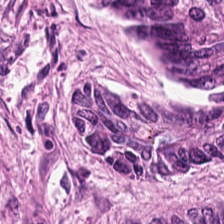Hematoxylin-and-eosin stained section · 224×224 px patch.
This field is tumor epithelium.
